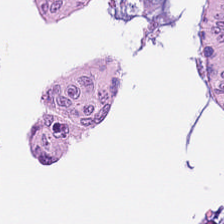Hematoxylin-and-eosin stained section. Showing adenocarcinoma.
